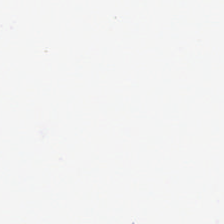Hematoxylin-and-eosin stained section · 224×224 pixel tile. Empty field — empty background.
